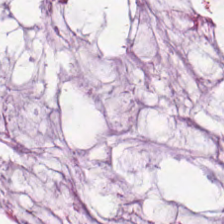Stain: H&E.
Tissue class: mucus.
